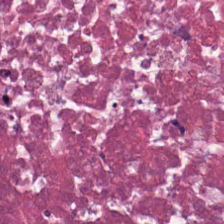Hematoxylin and eosin.
Q: Classify this patch.
A: Cellular debris.
